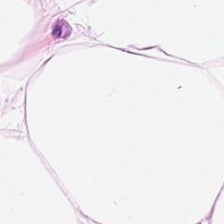H&E; 224×224 px tile; 0.5 µm/px.
Showing adipose.
